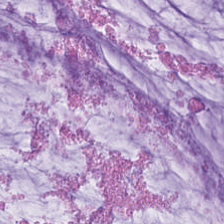Tissue type — mucus.
